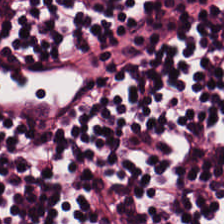H&E-stained tissue section — Q: What type of tissue is this?
A: The field shows lymphocyte aggregate.
